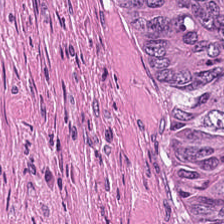Whole-slide-image patch. Hematoxylin and eosin.
Showing debris.
